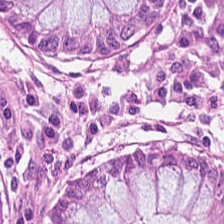20× equivalent magnification. Hematoxylin-and-eosin stained section. The predominant tissue is benign colonic mucosa.
